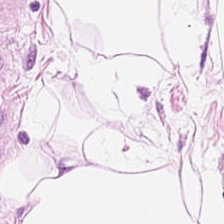20× equivalent magnification; H&E.
Impression → fat tissue.
